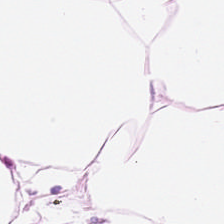Whole-slide-image patch · H&E stain · 0.5 µm per pixel — {"tissue_type": "adipose tissue"}
